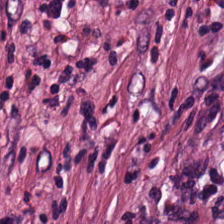Tissue: tumor-associated stroma.
